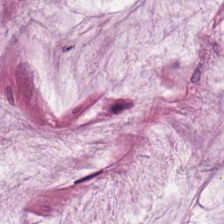Q: What tissue is shown?
A: The field shows mucin.
